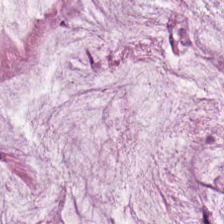Q: What tissue is shown?
A: Mucus.
